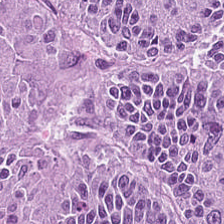H&E-stained tissue section. 0.5 µm per pixel. WSI patch — Showing malignant epithelium.
